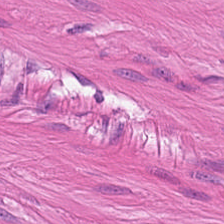H&E-stained tissue section. 0.5 µm per pixel.
Tissue class = muscularis.
